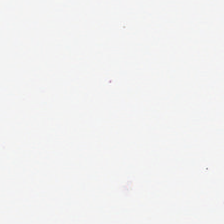H&E stain; FFPE tissue section — Content = no tissue.
